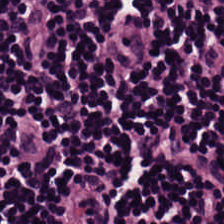H&E stain — The tissue here is lymphoid infiltrate.
